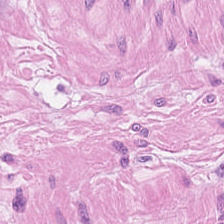Hematoxylin-and-eosin stained section — Tissue type — muscularis.
